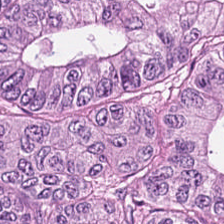Hematoxylin-and-eosin stained section. Q: Classify this patch.
A: It is tumor epithelium.
